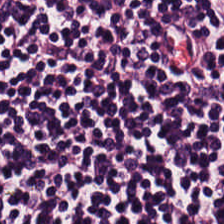Hematoxylin-and-eosin stained section. 224×224 px tile. 20× equivalent magnification. Lymphoid infiltrate.
